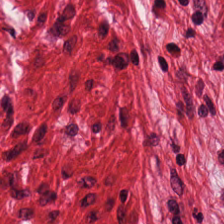Hematoxylin-and-eosin stained section · FFPE tissue section · 0.5 µm per pixel.
Q: What tissue type is shown here?
A: It is muscularis.
